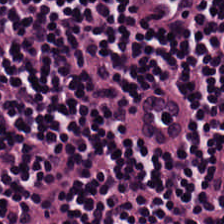Hematoxylin and eosin.
Tissue: lymphocyte aggregate.
